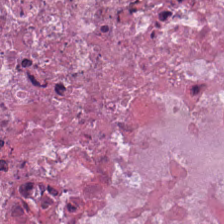Hematoxylin-and-eosin stained section · 0.5 microns per pixel — Q: What is shown here?
A: This is debris.
